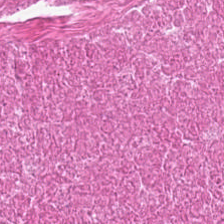FFPE; H&E-stained tissue section — Finding → necrotic debris.
